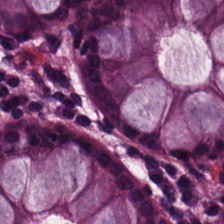Q: What tissue type is shown here?
A: This is normal colon mucosa.
